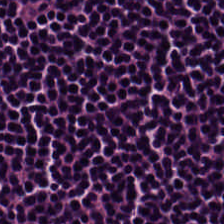Hematoxylin and eosin.
Histology — lymphoid infiltrate.
